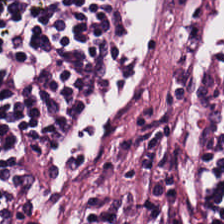H&E — The predominant tissue is lymphocyte aggregate.
